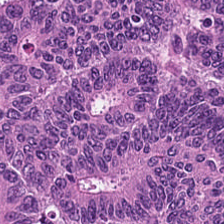Hematoxylin-and-eosin stained section. 224×224 px patch — Showing adenocarcinoma.
